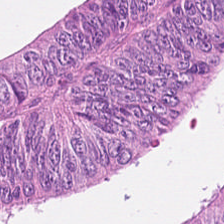Tissue type = tumor epithelium.
